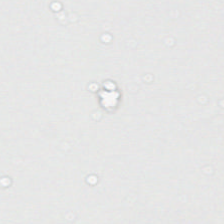0.5 µm/px · FFPE · H&E-stained tissue section. Q: What does this patch show?
A: The field shows no tissue.
